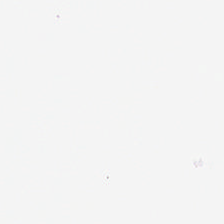H&E stain.
Background — no tissue in this field.
